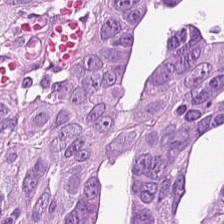This field is malignant epithelium.
